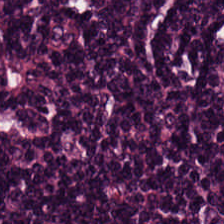Hematoxylin and eosin; FFPE.
Predominant tissue = lymphoid infiltrate.
